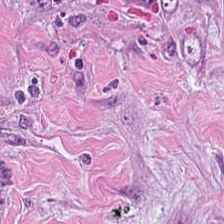224×224 px patch. Hematoxylin and eosin — Tissue — cancer-associated stroma.
